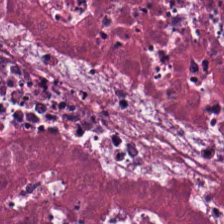224×224 px tile · hematoxylin and eosin · WSI patch. The tissue here is debris.
